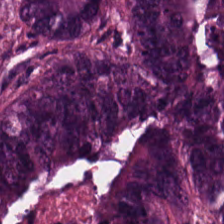H&E — colorectal adenocarcinoma epithelium.
